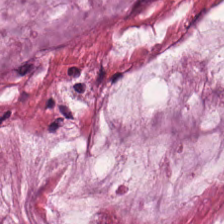Tissue type — extracellular mucin.
